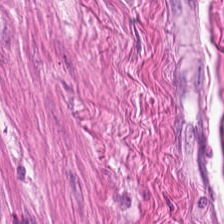Predominant tissue — smooth muscle.
